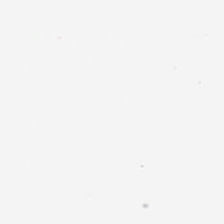H&E-stained tissue section.
Impression — no tissue.
